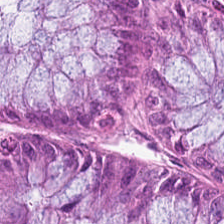H&E stain.
Q: Classify this patch.
A: This is benign colonic mucosa.
